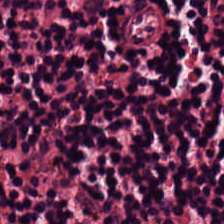H&E-stained tissue section. {"tissue_type": "lymphoid infiltrate"}
